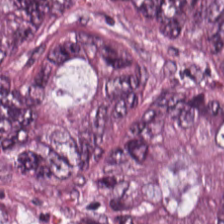Finding — malignant epithelium.
